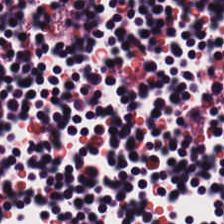H&E-stained tissue section — This field is lymphocyte aggregate.
